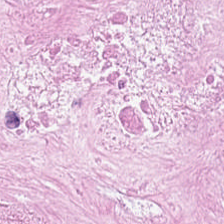Hematoxylin and eosin — Tissue type: necrotic debris.
